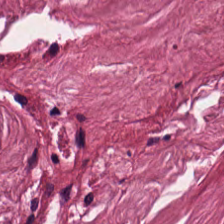This field is tumor-associated stroma.
